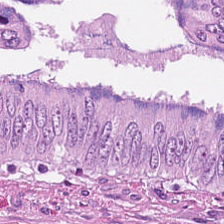Hematoxylin and eosin.
The predominant tissue is tumor epithelium.
